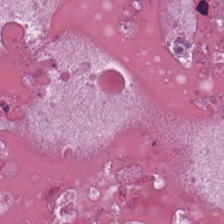H&E-stained tissue section. This field is necrotic debris.
